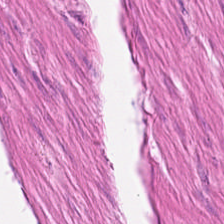Hematoxylin and eosin.
Q: What tissue is shown?
A: The field shows smooth muscle.
